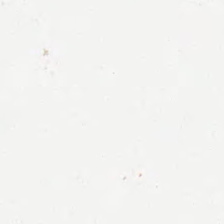Classification — no tissue.
